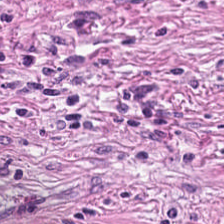Desmoplastic stroma.
